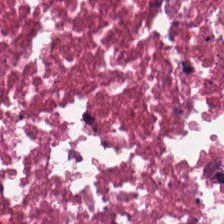H&E-stained tissue section · 20× equivalent magnification · 224×224 px patch — Classification: necrotic debris.
